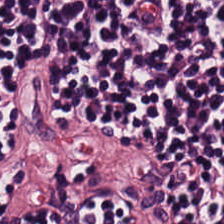The predominant tissue is lymphocyte aggregate.
